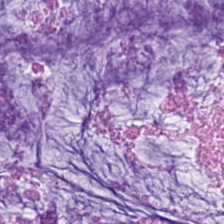0.5 microns per pixel; H&E. Classification = extracellular mucin.
